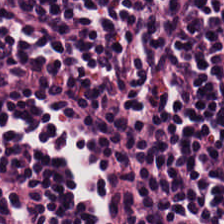Hematoxylin-and-eosin stained section. Predominant tissue — lymphoid infiltrate.
